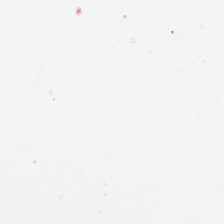Hematoxylin and eosin — {"content": "empty background"}
